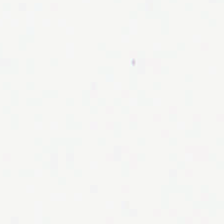H&E stain. Background — no tissue in this field.
